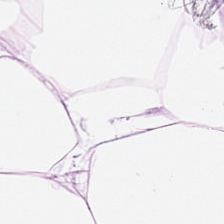H&E — {"tissue_type": "adipocytes"}
